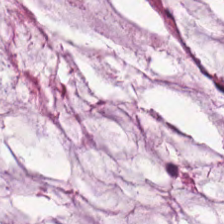H&E — Tissue type = mucus.
